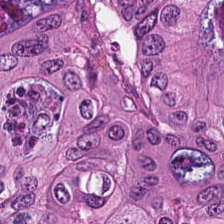H&E.
The classification is tumor epithelium.
